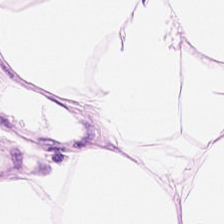H&E patch showing adipose.
